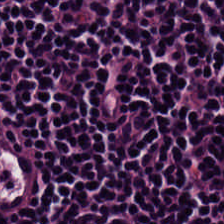Q: What tissue is shown?
A: This is lymphoid infiltrate.
